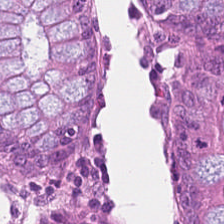H&E-stained tissue section — Classification = normal colon mucosa.
